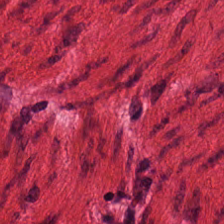Tissue class — muscularis.
